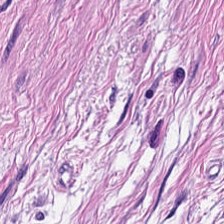Hematoxylin and eosin — Tissue class = smooth-muscle tissue.
